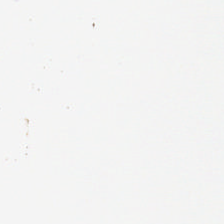Hematoxylin-and-eosin stained section — Content = empty background.
